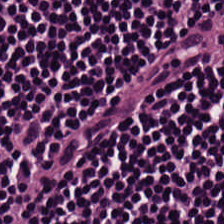Hematoxylin-and-eosin stained section.
The tissue here is lymphocytic infiltrate.
